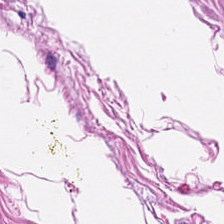This field is smooth muscle.
